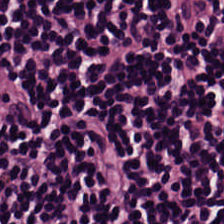Whole-slide-image patch · H&E stain — Tissue type = lymphocytic infiltrate.
